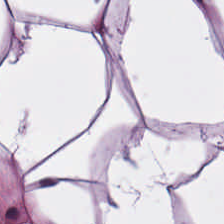Stain: hematoxylin-and-eosin stained section.
Preparation: FFPE tissue section.
Tissue type: fat tissue.
